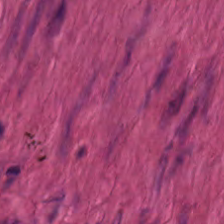0.5 µm per pixel; H&E stain.
Showing smooth-muscle tissue.
